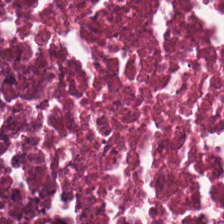H&E · 0.5 µm/px.
Tissue type — debris.
